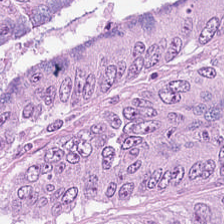Hematoxylin-and-eosin stained section — Adenocarcinoma.
